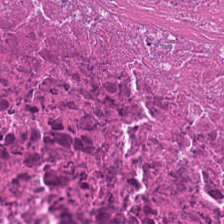WSI patch. H&E stain — Showing necrotic debris.
